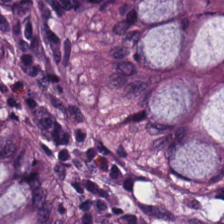Classification — normal colonic mucosa.
